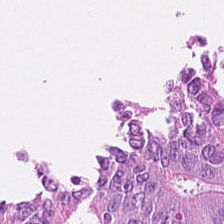H&E; 224×224 pixel tile.
Q: What is the predominant tissue type?
A: The field shows tumor epithelium.
